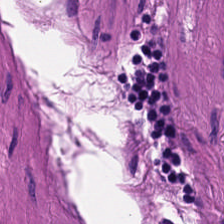Hematoxylin and eosin.
Tissue class = muscularis.
